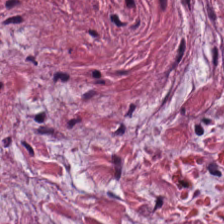H&E stain; 224×224 px patch; formalin-fixed paraffin-embedded section.
Q: What is shown in this field?
A: This is desmoplastic stroma.
